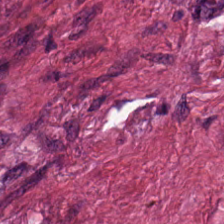224×224 px tile; H&E-stained tissue section. Q: What is shown in this field?
A: This is cancer-associated stroma.
